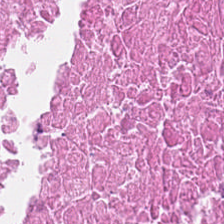Hematoxylin-and-eosin stained section; brightfield microscopy — The tissue is cellular debris.
